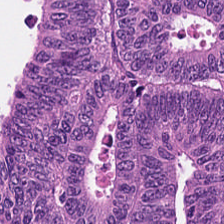Hematoxylin-and-eosin stained section. The tissue type is adenocarcinoma.
